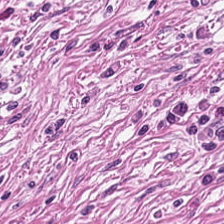H&E-stained tissue section — Tissue class = tumor stroma.
